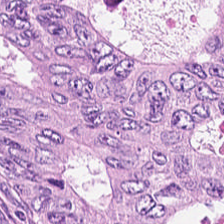Q: What does this patch show?
A: Tumor epithelium.
